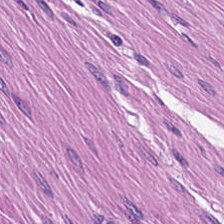Impression → smooth muscle.
